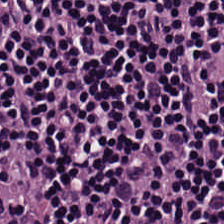Hematoxylin and eosin — Lymphocytes.
